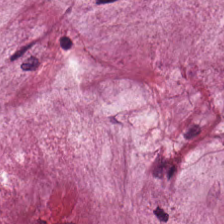Stain: H&E-stained tissue section.
Tile size: 224×224 px tile.
Classification: mucin.
